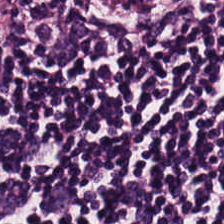Stain: H&E stain.
Preparation: FFPE tissue section.
Tissue type: lymphocytes.
